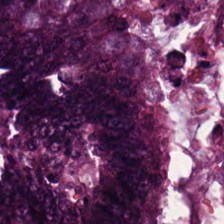224×224 px tile · H&E stain — Q: What tissue type is shown here?
A: Colorectal adenocarcinoma.
